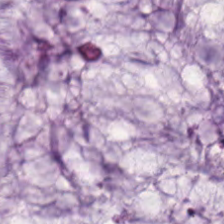H&E stain. FFPE. 0.5 microns per pixel.
Tissue type: extracellular mucin.
